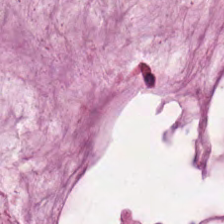FFPE · H&E. Predominant tissue — extracellular mucin.
